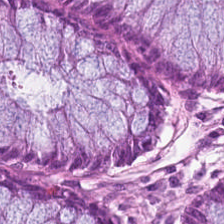H&E stain — Tissue: normal colon mucosa.
